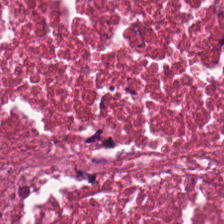Stain: H&E.
Tissue class: necrotic debris.
